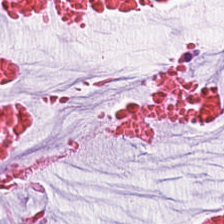Stain: hematoxylin and eosin.
Acquisition: brightfield microscopy.
Tissue class: mucus.
